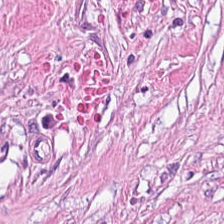Stain: hematoxylin and eosin.
Resolution: 20× equivalent magnification.
Tile size: 224×224 px tile.
Tissue class: tumor stroma.
